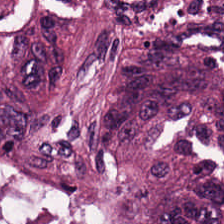Q: What tissue is shown?
A: The field shows tumor epithelium.
